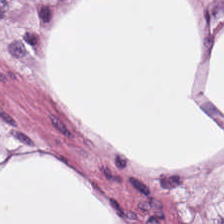Stain: hematoxylin-and-eosin stained section.
Tissue: adipocytes.
